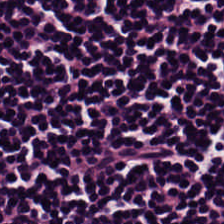Hematoxylin and eosin; FFPE; 0.5 microns per pixel.
Tissue class = lymphocytes.
